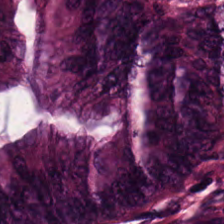Q: What type of tissue is this?
A: It is malignant epithelium.
